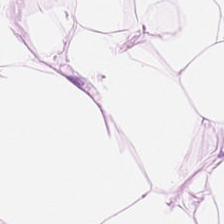FFPE tissue section. Whole-slide-image patch. H&E — Classification: fat tissue.
